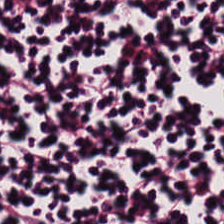Tissue type — lymphocytic infiltrate.
